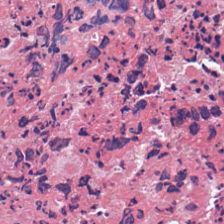The tissue here is cellular debris.
